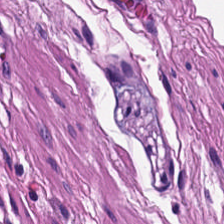H&E; FFPE — Showing muscularis.
